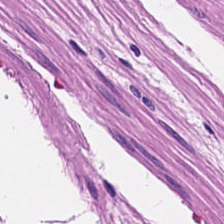Hematoxylin-and-eosin section: muscularis.
